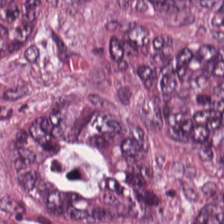H&E. FFPE tissue section. The predominant tissue is colorectal adenocarcinoma.
